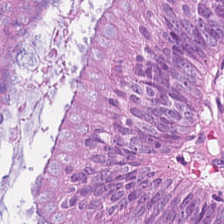Showing malignant epithelium.
